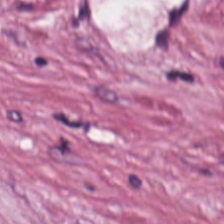Hematoxylin and eosin.
Tissue: desmoplastic stroma.
